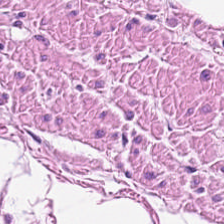H&E stain. Tissue class: smooth-muscle tissue.
